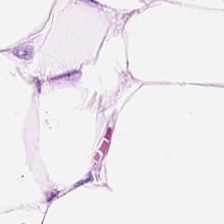H&E; FFPE. Finding → adipose.
